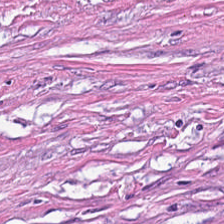FFPE tissue section. H&E stain. Brightfield microscopy. The predominant tissue is desmoplastic stroma.
